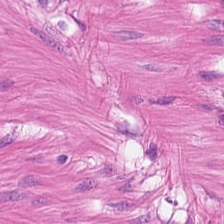The classification is smooth-muscle tissue.
